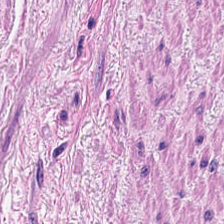Predominant tissue: smooth-muscle tissue.
